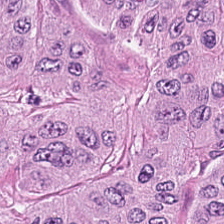Hematoxylin and eosin; 224×224 pixel tile; 0.5 µm per pixel — Finding → colorectal adenocarcinoma.
